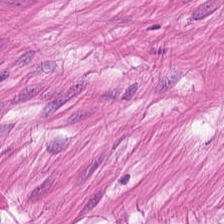H&E-stained tissue section. Whole-slide-image patch.
Predominant tissue = smooth-muscle tissue.
